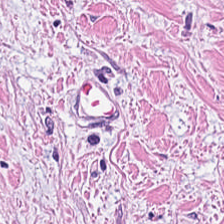H&E stain.
This field is tumor stroma.
